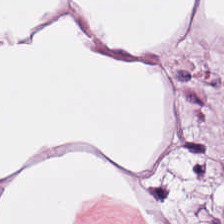Hematoxylin and eosin. Brightfield. FFPE tissue section. Impression → adipose tissue.
